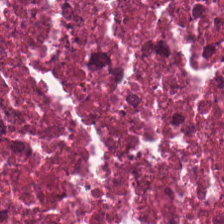H&E-stained tissue section.
The tissue class is cellular debris.
